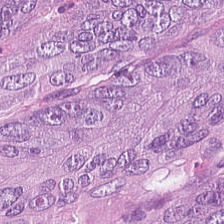Hematoxylin-and-eosin stained section. Tissue class: colorectal adenocarcinoma epithelium.
